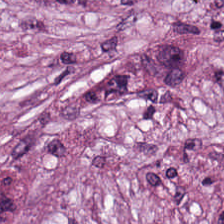H&E; 224×224 px tile — This field is desmoplastic stroma.
